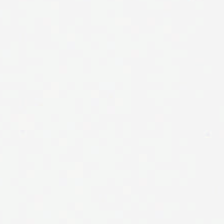Formalin-fixed paraffin-embedded section. H&E. 20× equivalent magnification.
Empty field — empty background.
